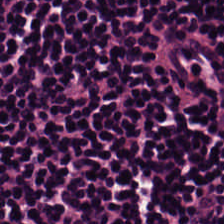Histology — lymphoid infiltrate.
